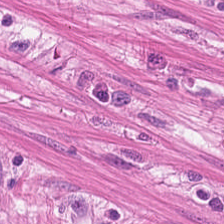H&E-stained tissue section. Q: Identify the tissue.
A: The field shows smooth-muscle tissue.
